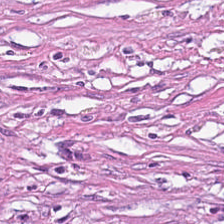H&E-stained section; the field shows cancer-associated stroma.
